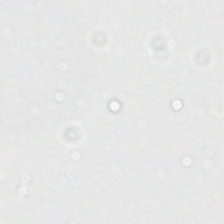H&E — No tissue present; background only.
